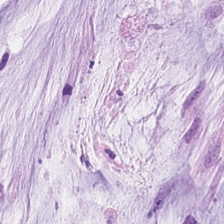The classification is mucin.
